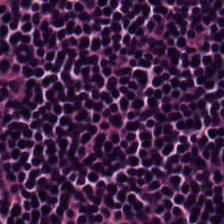H&E-stained tissue section — Tissue type — lymphoid infiltrate.
